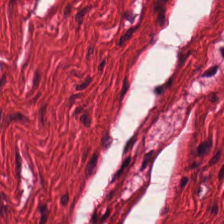Whole-slide-image patch; formalin-fixed paraffin-embedded section; H&E-stained tissue section. The tissue class is muscularis.
